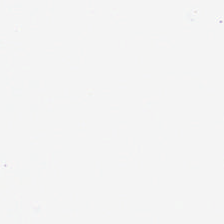H&E — This field is background (no tissue).
